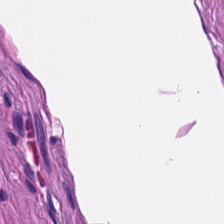Hematoxylin-and-eosin stained section.
Q: What tissue type is shown here?
A: Smooth muscle.
